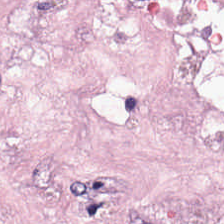H&E-stained tissue section showing cancer-associated stroma.
